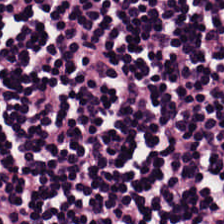Hematoxylin and eosin — Tissue type: lymphocyte aggregate.
